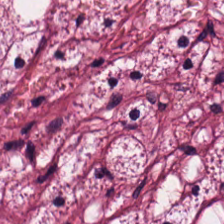Tissue: tumor stroma.
